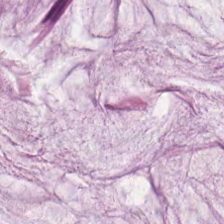Hematoxylin and eosin. Q: What is the predominant tissue type?
A: The field shows mucus.
